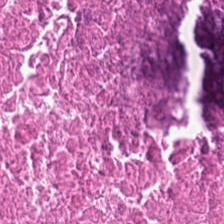H&E stain.
Finding — necrotic debris.
